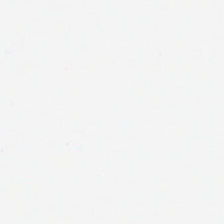Classification: empty background.
